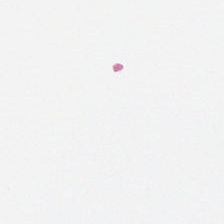Hematoxylin-and-eosin stained section.
Field content — empty background.
